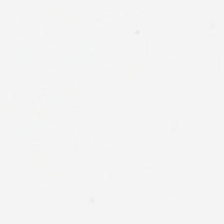Stain: H&E-stained tissue section.
Content: no tissue.
